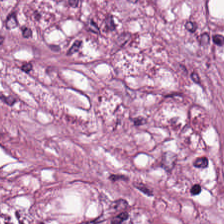This patch shows desmoplastic stroma.
